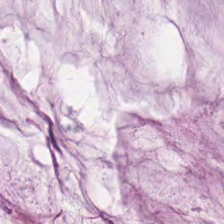H&E — The predominant tissue is mucin.
